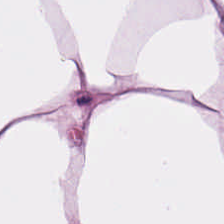Stain: H&E-stained tissue section.
Predominant tissue: fat tissue.
